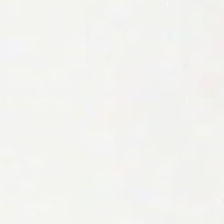224×224 px tile; hematoxylin and eosin.
Background — no tissue in this field.
